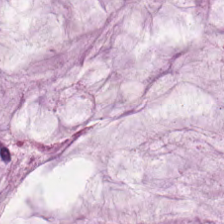H&E stain — Predominant tissue = mucin.
